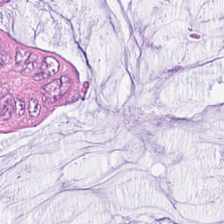Brightfield microscopy; hematoxylin-and-eosin stained section; FFPE tissue section.
The tissue is mucin.
